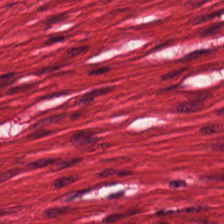Hematoxylin-and-eosin stained section.
Showing smooth-muscle tissue.
